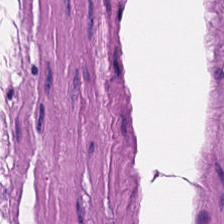FFPE · H&E stain · WSI patch.
Showing smooth muscle.
